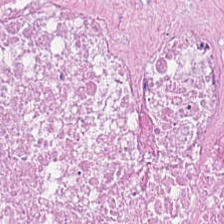0.5 µm per pixel; hematoxylin and eosin.
Q: What type of tissue is this?
A: It is necrotic debris.
